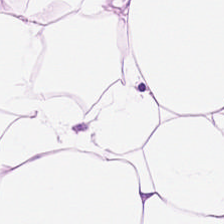H&E-stained tissue section · whole-slide-image patch. Tissue: adipocytes.
